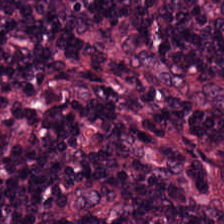{"tissue_type": "lymphocytic infiltrate"}
